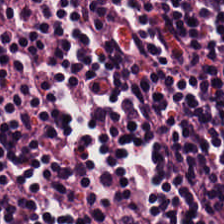224×224 pixel tile · hematoxylin-and-eosin stained section · WSI patch. Histology → lymphocytic infiltrate.
